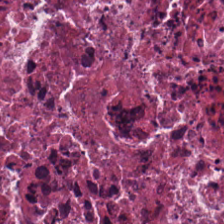Hematoxylin and eosin — Predominantly cellular debris.
